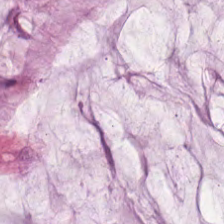FFPE tissue section; H&E-stained tissue section; WSI patch. {"tissue_type": "mucus"}
